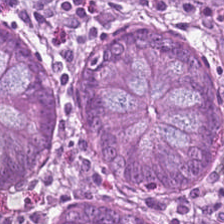Hematoxylin-and-eosin stained section — Q: What is shown here?
A: Benign colonic mucosa.
